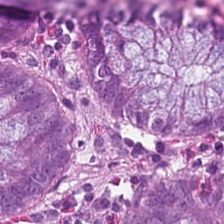0.5 microns per pixel. Whole-slide-image patch. H&E-stained tissue section.
This patch shows non-neoplastic colon mucosa.
